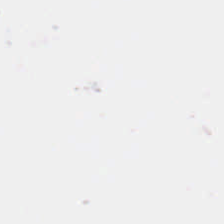H&E stain. No tissue present; background only.
